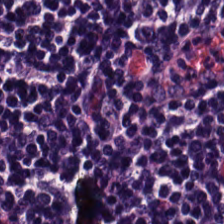Stain: hematoxylin and eosin.
Classification: lymphocyte aggregate.
